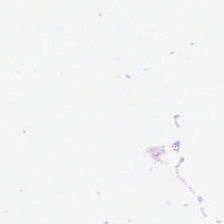0.5 µm per pixel · H&E · 224×224 px patch. Background — no tissue in this field.
